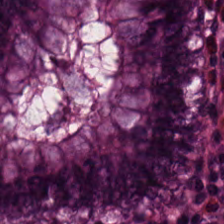H&E-stained tissue section — Predominant tissue — normal colonic mucosa.
